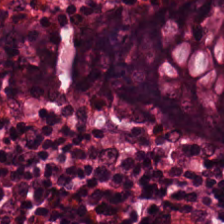Histology → non-neoplastic colon mucosa.
